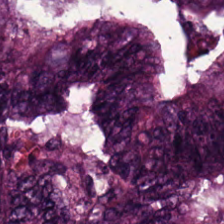H&E-stained tissue section.
This field is malignant epithelium.
